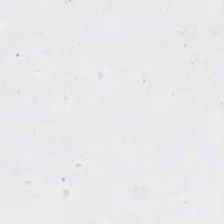Hematoxylin-and-eosin stained section. FFPE tissue section.
No tissue present; background only.
